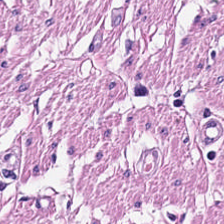Hematoxylin and eosin — Q: Identify the tissue.
A: It is muscularis.
